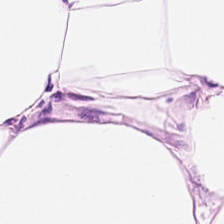Whole-slide-image patch · H&E.
Tissue class: adipocytes.
